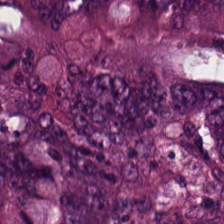{"tissue_type": "malignant epithelium"}
